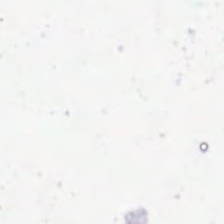H&E stain. {"content": "empty background"}
